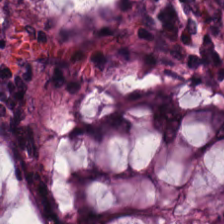Q: What tissue is shown?
A: This is non-neoplastic colon mucosa.
